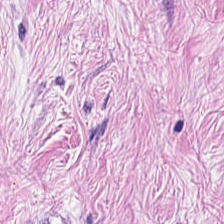FFPE. H&E-stained tissue section. Histology → tumor stroma.
